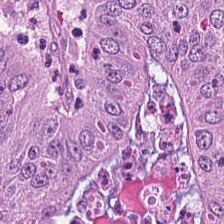Hematoxylin and eosin; formalin-fixed paraffin-embedded section. Q: What does this patch show?
A: This is colorectal adenocarcinoma epithelium.
